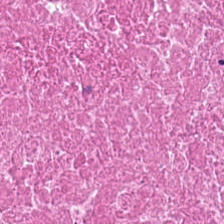Hematoxylin-and-eosin stained section.
Q: Identify the tissue.
A: This is cellular debris.
